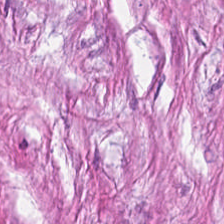H&E — Finding → cancer-associated stroma.
